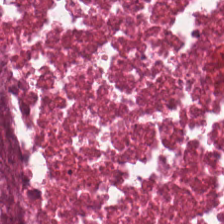H&E stain. Finding — cellular debris.
